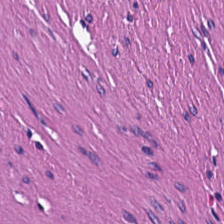0.5 µm/px. Hematoxylin and eosin. FFPE tissue section — Classification — smooth muscle.
